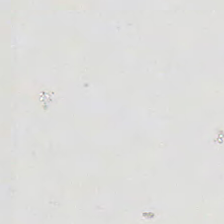Hematoxylin-and-eosin stained section. Impression → background.
